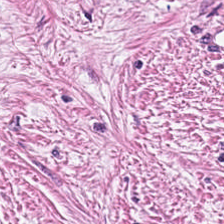The predominant tissue is desmoplastic stroma.
